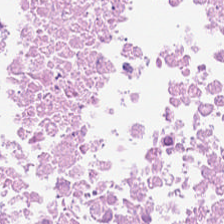Q: What type of tissue is this?
A: Necrotic debris.
